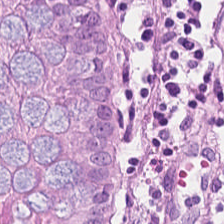H&E-stained tissue section.
Tissue class = normal colonic mucosa.
